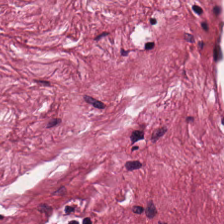Hematoxylin-and-eosin stained section — Classification — tumor stroma.
